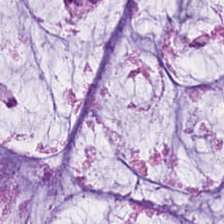Stain: hematoxylin-and-eosin stained section.
Classification: mucin.
